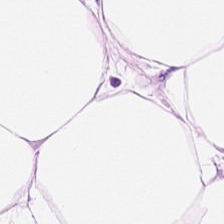Hematoxylin-and-eosin stained section; 224×224 pixel tile. Impression — adipose tissue.
